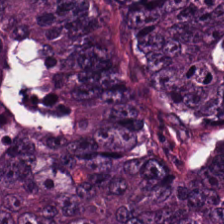Predominant tissue — malignant epithelium.
